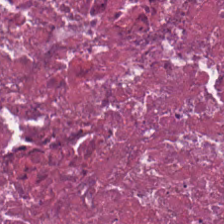Q: What is shown in this field?
A: It is necrotic debris.
